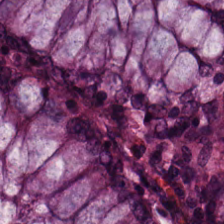Stain: hematoxylin and eosin.
Classification: normal colonic mucosa.
